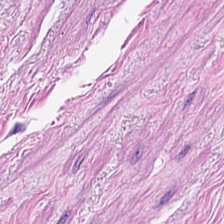FFPE tissue section; H&E-stained tissue section. Q: What is shown in this field?
A: The field shows smooth-muscle tissue.
